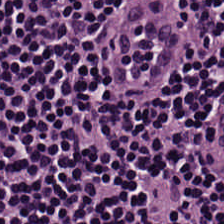H&E-stained tissue section. Predominantly lymphocytic infiltrate.
